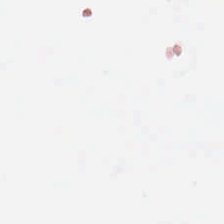H&E-stained tissue section — This field is background (no tissue).
